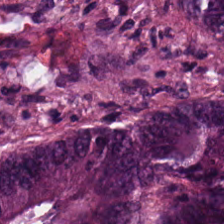Predominant tissue = tumor epithelium.
